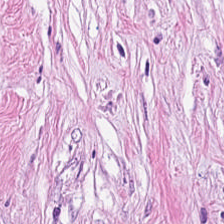H&E-stained tissue section. This field is desmoplastic stroma.
